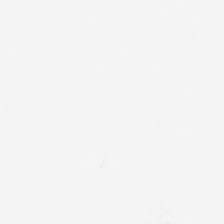H&E-stained tissue section.
Empty field — no tissue.
